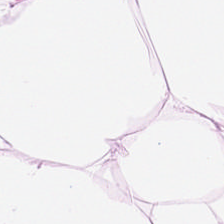Stain: H&E-stained tissue section.
Tile size: 224×224 px tile.
Resolution: 0.5 microns per pixel.
Classification: fat tissue.
